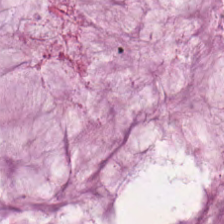Hematoxylin-and-eosin stained section — This patch shows mucin.
